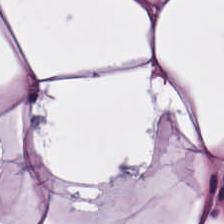Hematoxylin-and-eosin stained section. 224×224 px patch. Formalin-fixed paraffin-embedded section. Tissue type = fat tissue.
